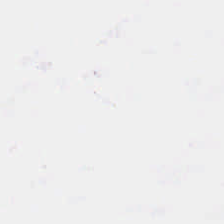H&E stain — No tissue present; background only.
